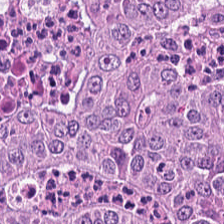Stain: H&E-stained tissue section.
Preparation: FFPE tissue section.
Acquisition: WSI patch.
Classification: colorectal adenocarcinoma.
